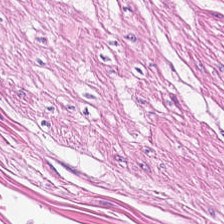This patch shows muscularis.
